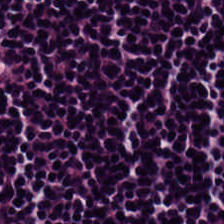0.5 microns per pixel; H&E stain. Q: What is shown here?
A: It is lymphocytes.
